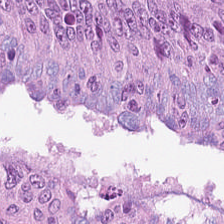20× equivalent magnification; H&E stain.
Q: What tissue type is shown here?
A: It is colorectal adenocarcinoma epithelium.
